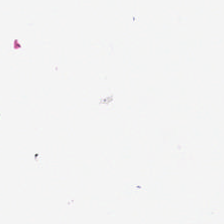H&E stain. Impression → no tissue.
